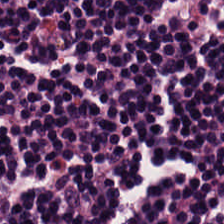H&E. Showing lymphocytic infiltrate.
